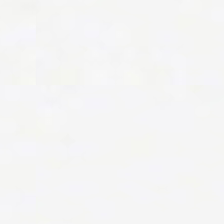Impression — empty background.
